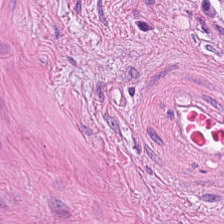0.5 µm per pixel · H&E stain.
Smooth-muscle tissue.
